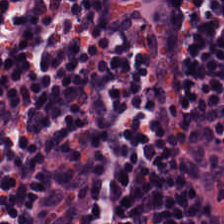This field is lymphocyte aggregate.
